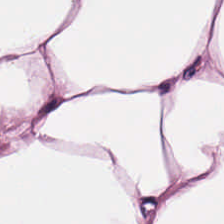224×224 px patch; H&E — The predominant tissue is adipose tissue.
